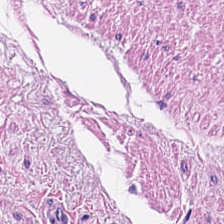Q: Identify the tissue.
A: The field shows smooth-muscle tissue.
